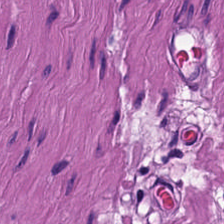FFPE tissue section · H&E stain · 224×224 px tile — Showing smooth muscle.
